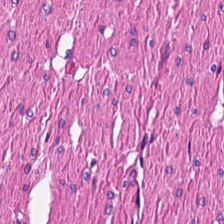0.5 µm/px; H&E; 224×224 px patch.
Q: What is shown in this field?
A: This is smooth-muscle tissue.
